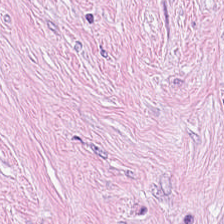Tissue type — tumor stroma.
